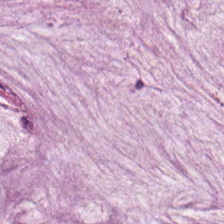0.5 µm per pixel · H&E stain · FFPE tissue section — Classification — mucus.
